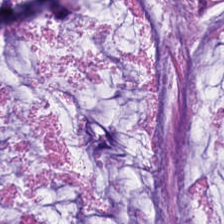Stain: H&E stain.
Resolution: 0.5 microns per pixel.
Tissue type: mucus.
